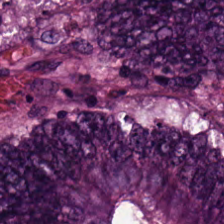H&E-stained tissue section.
Tissue type = adenocarcinoma.
